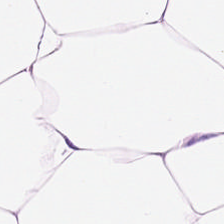Hematoxylin-and-eosin section: adipose tissue.
